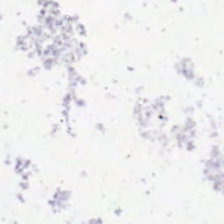Whole-slide-image patch. Hematoxylin-and-eosin stained section. Classification = background (no tissue).
